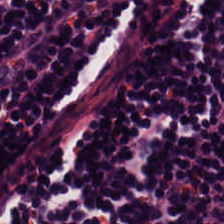FFPE tissue section. Brightfield microscopy. H&E stain — The tissue type is lymphoid infiltrate.
